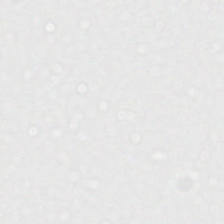Hematoxylin and eosin. No tissue.
